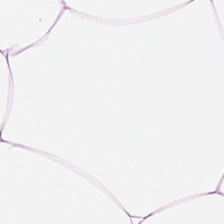FFPE tissue section · hematoxylin-and-eosin stained section. Showing adipose tissue.
